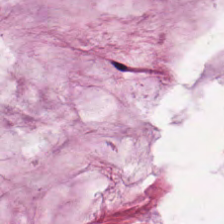Stain: H&E-stained tissue section.
Tissue: mucin.
